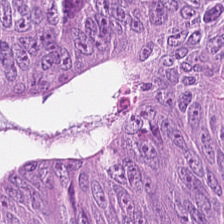0.5 microns per pixel · WSI patch · H&E-stained tissue section — Predominantly malignant epithelium.
